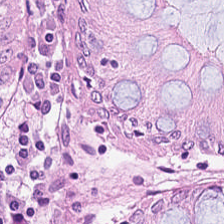0.5 µm per pixel · hematoxylin and eosin — The tissue is normal colonic mucosa.
